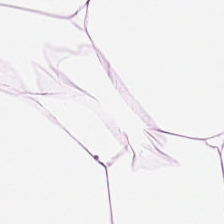20× equivalent magnification; H&E-stained tissue section.
Adipocytes.
